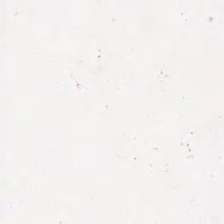H&E stain. 224×224 px tile. This patch shows cellular debris.
